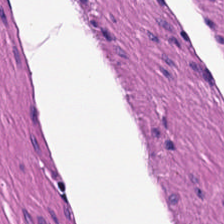Finding → smooth-muscle tissue.
